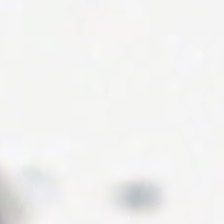224×224 pixel tile; H&E. This patch shows background.
